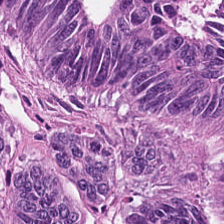Q: What is shown here?
A: It is colorectal adenocarcinoma epithelium.
